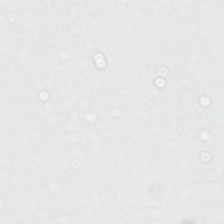H&E-stained tissue section. Classification: background (no tissue).
